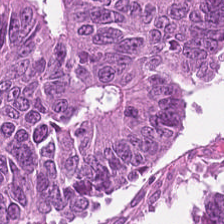Hematoxylin and eosin · formalin-fixed paraffin-embedded section — Q: What tissue type is shown here?
A: Colorectal adenocarcinoma epithelium.
